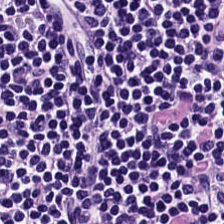H&E stain. Predominantly lymphoid infiltrate.
